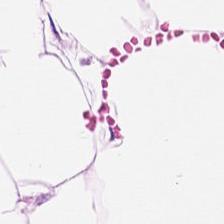Hematoxylin and eosin — The classification is adipose.
